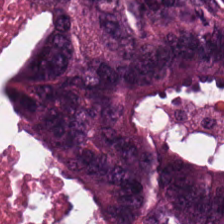224×224 pixel tile · hematoxylin and eosin — Showing adenocarcinoma.
